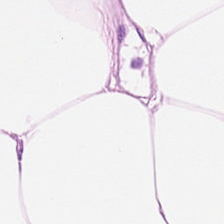H&E stain · 224×224 px patch · 0.5 µm/px. Finding — adipocytes.
